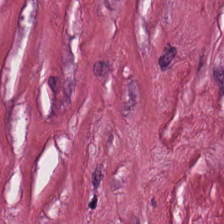Stain: H&E.
Tissue class: tumor-associated stroma.
